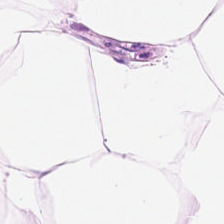Hematoxylin and eosin — Q: What type of tissue is this?
A: This is adipose tissue.
